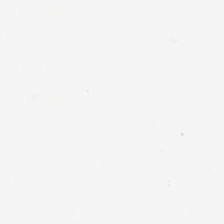Field content: no tissue.
